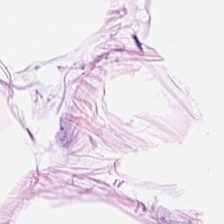Hematoxylin and eosin; 0.5 µm/px. Histology → adipocytes.
